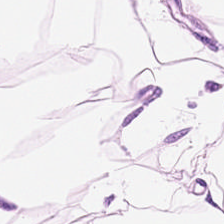Stain: hematoxylin-and-eosin stained section.
Classification: adipose tissue.
